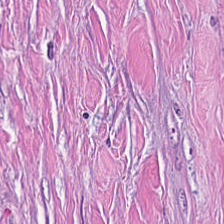H&E-stained tissue section · FFPE tissue section.
The predominant tissue is tumor-associated stroma.
